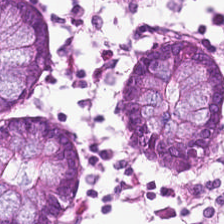Hematoxylin-and-eosin stained section. {"tissue_type": "normal colon mucosa"}
